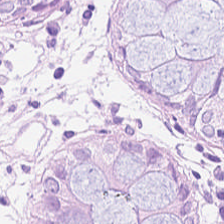0.5 microns per pixel · 224×224 pixel tile · H&E.
Predominant tissue — non-neoplastic colon mucosa.
